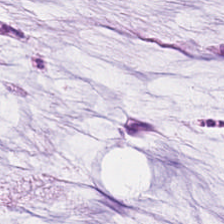H&E stain — The predominant tissue is mucin.
